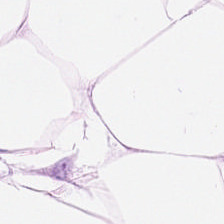Hematoxylin-and-eosin stained section — Q: Identify the tissue.
A: This is adipose.
